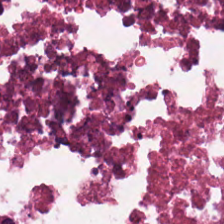H&E stain. 0.5 microns per pixel. Formalin-fixed paraffin-embedded section.
Classification = cellular debris.
